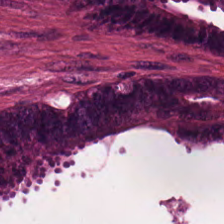The predominant tissue is adenocarcinoma.
